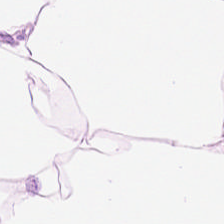Stain: H&E stain.
Tissue type: fat tissue.
